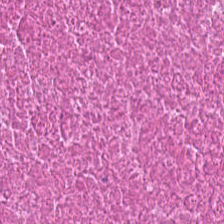Stain: hematoxylin-and-eosin stained section.
Predominant tissue: necrotic debris.
